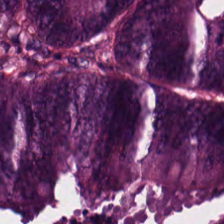0.5 microns per pixel; H&E. This patch shows tumor epithelium.
